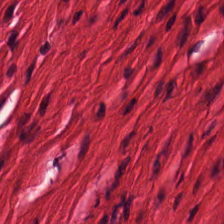Hematoxylin and eosin.
Tissue class — muscularis.
